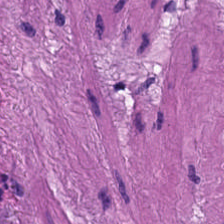H&E stain.
This field is smooth-muscle tissue.
